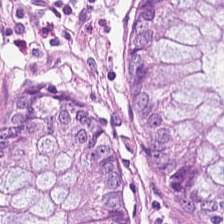H&E-stained tissue section; FFPE.
The tissue type is normal colon mucosa.
